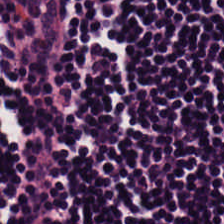The tissue here is lymphocytic infiltrate.
